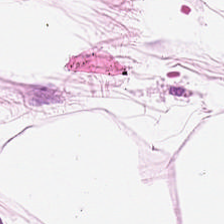Stain: hematoxylin and eosin.
Tissue class: adipose tissue.
